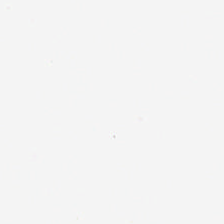This field is background (no tissue).
